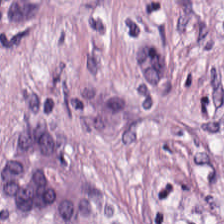H&E-stained tissue section. FFPE. This patch shows tumor-associated stroma.
